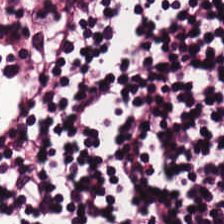The tissue is lymphocytic infiltrate.
